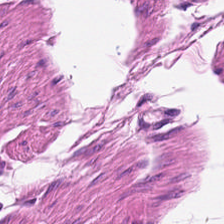H&E stain. Q: Identify the tissue.
A: The field shows smooth-muscle tissue.
